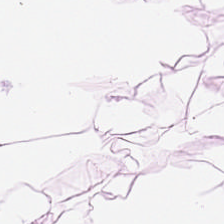Hematoxylin-and-eosin section: adipose.
